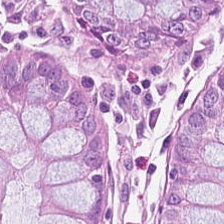The predominant tissue is benign colonic mucosa.
